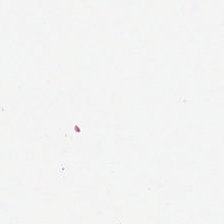FFPE. H&E stain. 224×224 pixel tile.
Q: What does this patch show?
A: Empty background.
